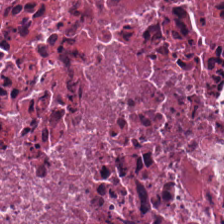224×224 px tile · H&E stain. Q: What tissue type is shown here?
A: It is debris.
